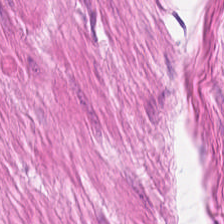H&E · 224×224 px tile. Smooth-muscle tissue.
